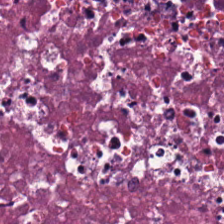Cellular debris.
